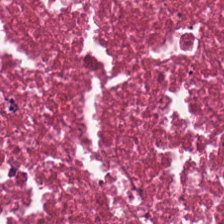H&E-stained tissue section. Brightfield — Q: What type of tissue is this?
A: It is cellular debris.
